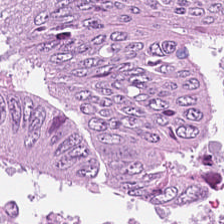Predominantly colorectal adenocarcinoma epithelium.
